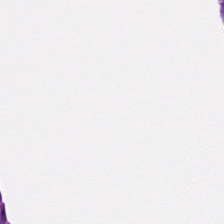H&E stain.
The predominant tissue is muscularis.
